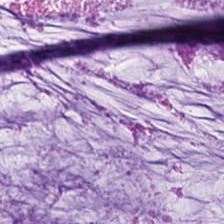H&E stain. 224×224 px tile. Tissue class: extracellular mucin.
